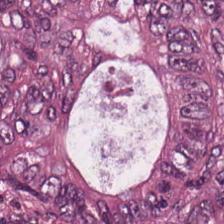WSI patch. 0.5 microns per pixel. H&E stain — {"tissue_type": "malignant epithelium"}
